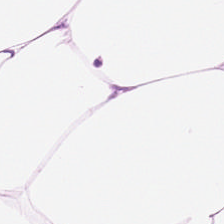H&E. WSI patch.
Q: What tissue type is shown here?
A: The field shows fat tissue.
